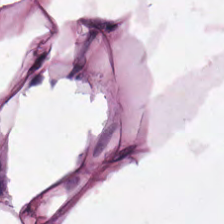H&E-stained tissue section · 224×224 pixel tile. This patch shows adipocytes.
